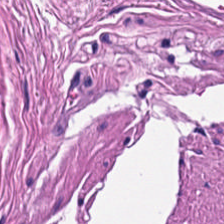H&E-stained tissue section. Predominantly smooth-muscle tissue.
